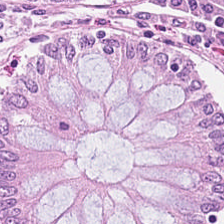0.5 µm per pixel. H&E-stained tissue section.
Showing normal colonic mucosa.
